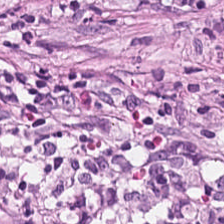Hematoxylin and eosin — The predominant tissue is desmoplastic stroma.
